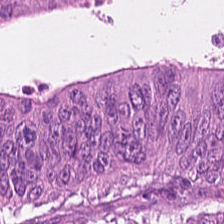H&E stain. 20× equivalent magnification. Brightfield microscopy. Finding → colorectal adenocarcinoma epithelium.
